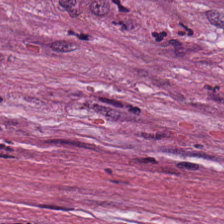H&E stain — Q: What tissue type is shown here?
A: The field shows tumor-associated stroma.
